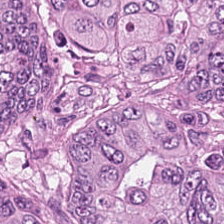Hematoxylin-and-eosin section: colorectal adenocarcinoma.
